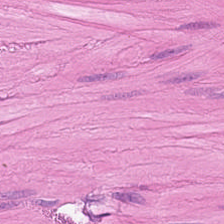H&E-stained tissue section — Classification = smooth-muscle tissue.
